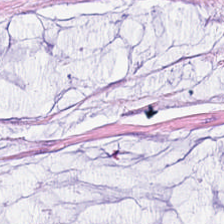Whole-slide-image patch. H&E-stained tissue section — Classification: mucus.
